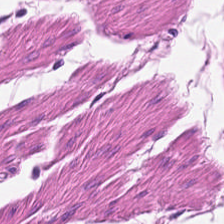H&E stain; FFPE tissue section.
This field is smooth-muscle tissue.
